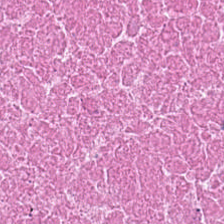Brightfield microscopy. H&E-stained tissue section. Showing cellular debris.
